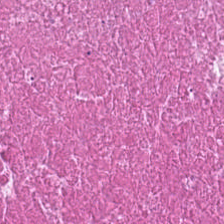FFPE tissue section. Hematoxylin and eosin. Whole-slide-image patch.
Q: Classify this patch.
A: This is cellular debris.
